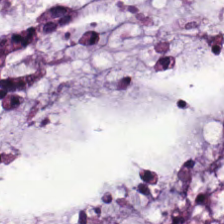FFPE; hematoxylin and eosin; 20× equivalent magnification. Predominant tissue = mucin.
